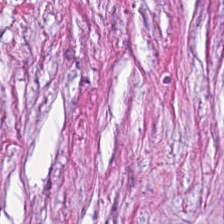H&E stain.
Impression → desmoplastic stroma.
